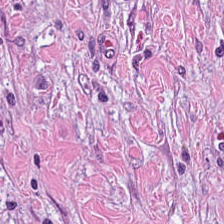Hematoxylin and eosin · 224×224 pixel tile.
Predominant tissue: desmoplastic stroma.
